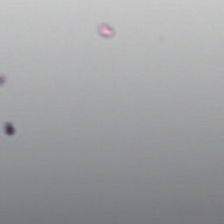Hematoxylin-and-eosin stained section · 0.5 µm/px. Empty background.
